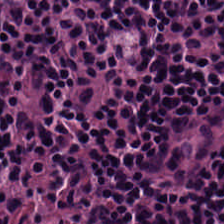The tissue here is lymphocytic infiltrate.
